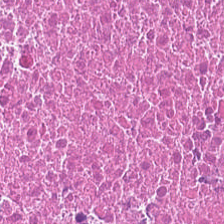Stain: hematoxylin-and-eosin stained section.
Tile size: 224×224 px patch.
Preparation: FFPE tissue section.
Classification: debris.
